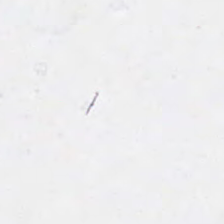20× equivalent magnification; H&E stain; 224×224 px tile — This field is background (no tissue).
